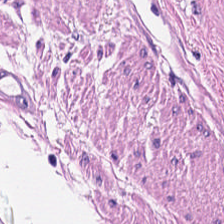Q: Classify this patch.
A: The field shows smooth muscle.
